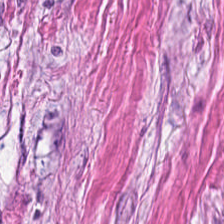H&E — Predominant tissue: tumor-associated stroma.
